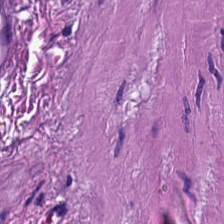Hematoxylin-and-eosin section: muscularis.
